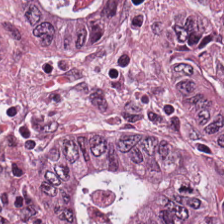This field is adenocarcinoma.
